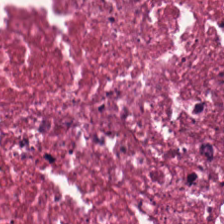Stain: hematoxylin-and-eosin stained section.
Classification: necrotic debris.
